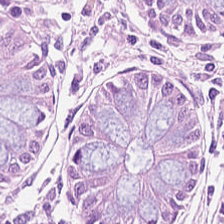H&E-stained tissue section — The tissue class is non-neoplastic colon mucosa.
